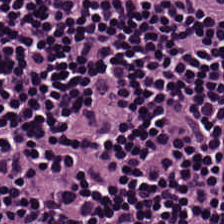0.5 µm/px. 224×224 px tile. H&E-stained tissue section.
The classification is lymphocyte aggregate.
